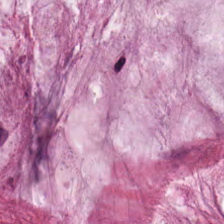Hematoxylin-and-eosin stained section · 224×224 pixel tile.
This field is extracellular mucin.
